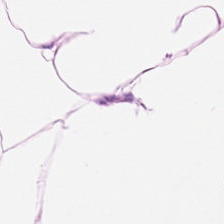H&E-stained tissue section — The tissue here is adipose.
